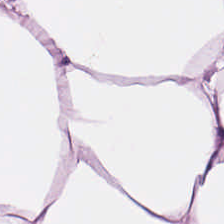Stain: H&E.
Tissue type: adipocytes.
